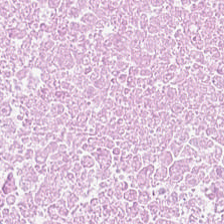Predominant tissue — debris.
